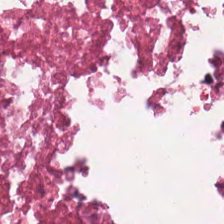Hematoxylin-and-eosin stained section.
Classification = debris.
